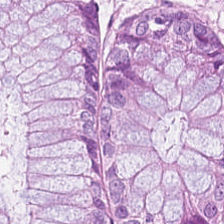H&E. 224×224 px tile — Q: What is shown here?
A: It is benign colonic mucosa.
